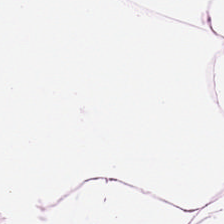Hematoxylin-and-eosin stained section; 224×224 pixel tile. Q: What is the predominant tissue type?
A: This is adipose.
